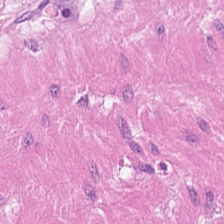Q: What is the predominant tissue type?
A: Smooth-muscle tissue.
